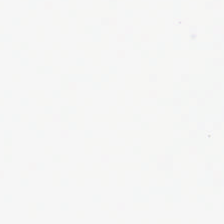{"content": "no tissue"}
